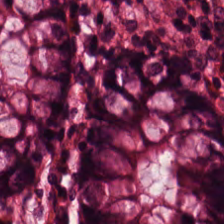H&E stain. Formalin-fixed paraffin-embedded section — Non-neoplastic colon mucosa.
